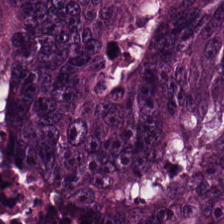224×224 px patch. H&E-stained tissue section. This field is adenocarcinoma.
